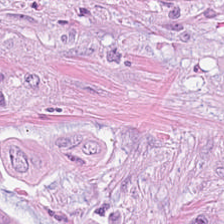Hematoxylin and eosin.
Q: Identify the tissue.
A: Tumor epithelium.
